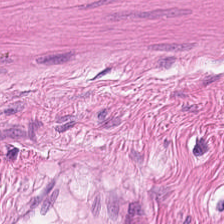Stain: hematoxylin and eosin.
Resolution: 0.5 microns per pixel.
Tissue type: muscularis.
